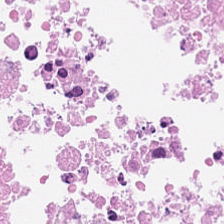H&E-stained tissue section. 224×224 px patch. Formalin-fixed paraffin-embedded section. The predominant tissue is debris.
